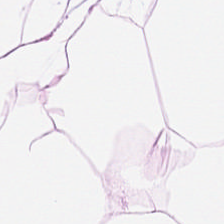Tissue class: adipose tissue.
